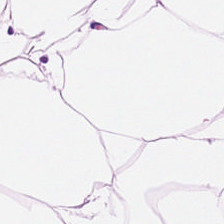H&E stain; whole-slide-image patch; FFPE.
{"tissue_type": "adipose"}
